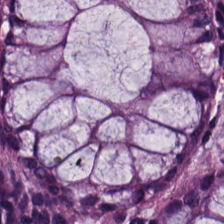H&E. {"tissue_type": "non-neoplastic colon mucosa"}
